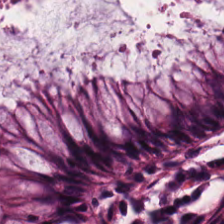Hematoxylin-and-eosin stained section; 0.5 microns per pixel. Normal colon mucosa.
